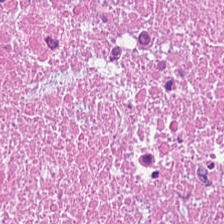Hematoxylin and eosin. FFPE. This patch shows cellular debris.
